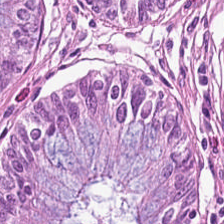H&E-stained tissue section — Q: What does this patch show?
A: The field shows benign colonic mucosa.
